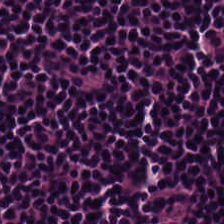H&E patch showing lymphocyte aggregate.
